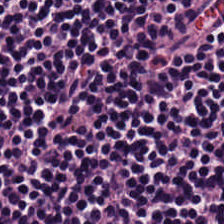Stain: hematoxylin and eosin.
Predominant tissue: lymphocyte aggregate.
